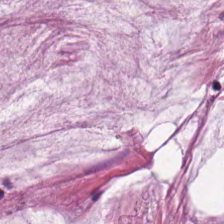Impression — extracellular mucin.
